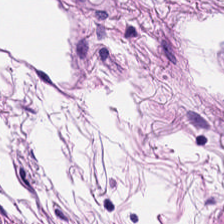FFPE · H&E — The tissue class is muscularis.
